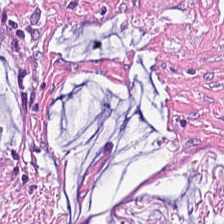H&E-stained tissue section. Predominantly desmoplastic stroma.
